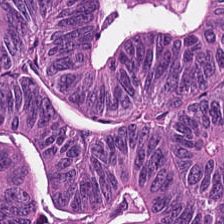Stain: H&E-stained tissue section.
Preparation: formalin-fixed paraffin-embedded section.
Tissue: adenocarcinoma.
